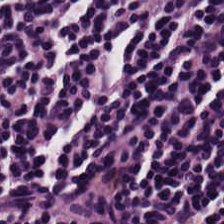The predominant tissue is lymphocyte aggregate.
